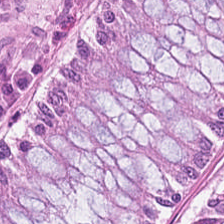H&E-stained tissue section. The tissue class is non-neoplastic colon mucosa.
